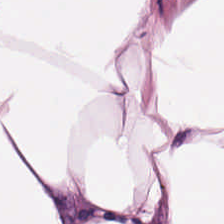H&E. Q: What is the predominant tissue type?
A: Fat tissue.
